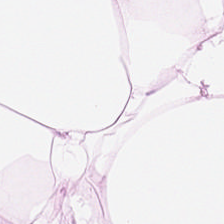Hematoxylin-and-eosin stained section. Tissue — adipocytes.
